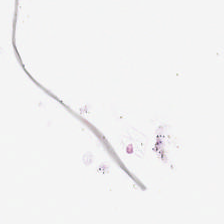H&E stain. Brightfield microscopy.
Classification = empty background.
